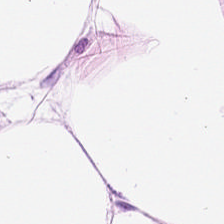H&E.
Predominantly adipose.
